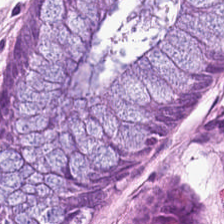H&E-stained tissue section — Normal colon mucosa.
